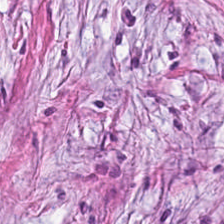Stain: hematoxylin and eosin.
Predominant tissue: tumor stroma.
